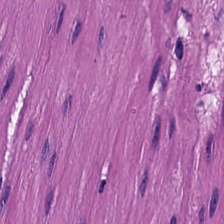Hematoxylin and eosin. 0.5 microns per pixel.
Tissue type = muscularis.
